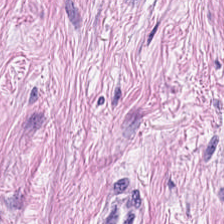Hematoxylin-and-eosin stained section; 224×224 pixel tile — The tissue here is tumor-associated stroma.
